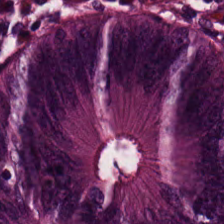FFPE; 224×224 px patch; H&E-stained tissue section — The tissue here is malignant epithelium.
